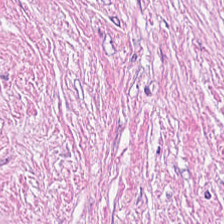Stain: H&E.
Tissue class: desmoplastic stroma.
